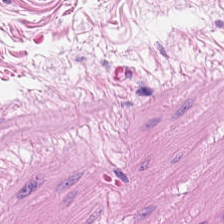Histology → smooth muscle.
